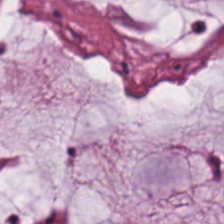H&E.
Showing mucin.
